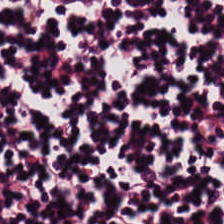The tissue class is lymphoid infiltrate.
